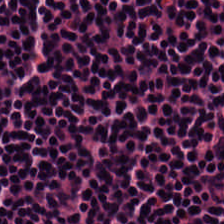{"tissue_type": "lymphocytes"}
